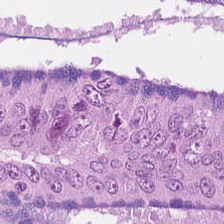Hematoxylin and eosin; formalin-fixed paraffin-embedded section.
This patch shows colorectal adenocarcinoma epithelium.
